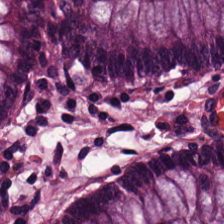H&E-stained tissue section; 20× equivalent magnification; 224×224 px tile — Q: What tissue type is shown here?
A: It is non-neoplastic colon mucosa.
